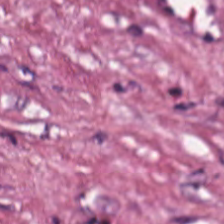This field is desmoplastic stroma.
